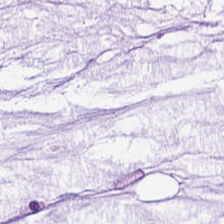Classification = extracellular mucin.
